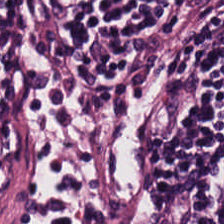Hematoxylin-and-eosin stained section.
Q: What is the predominant tissue type?
A: The field shows lymphoid infiltrate.
